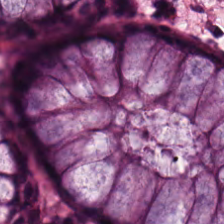Stain: H&E stain.
Tissue: benign colonic mucosa.
